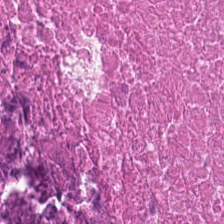H&E-stained tissue section.
Showing cellular debris.
